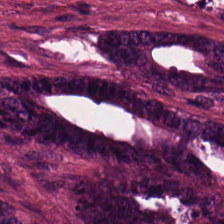Hematoxylin-and-eosin stained section. 224×224 pixel tile — Q: What is the predominant tissue type?
A: This is colorectal adenocarcinoma epithelium.
